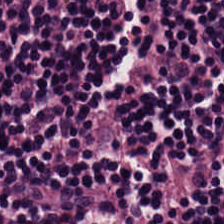H&E-stained section; the field shows lymphocytic infiltrate.
